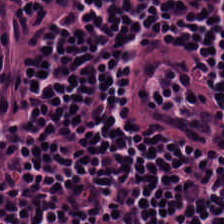Hematoxylin and eosin · 224×224 px tile · FFPE tissue section. Q: What tissue type is shown here?
A: Lymphocyte aggregate.
